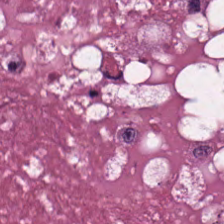H&E-stained tissue section · whole-slide-image patch · FFPE tissue section.
This field is cellular debris.
